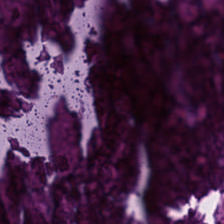H&E — Necrotic debris.
